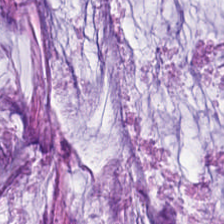H&E. Q: Identify the tissue.
A: This is mucin.
